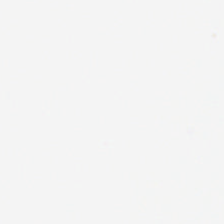Hematoxylin-and-eosin stained section. Impression → empty background.
